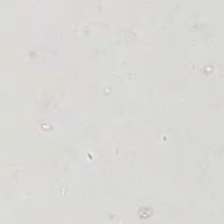H&E-stained tissue section · brightfield microscopy — Empty field — empty background.
